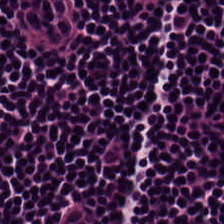H&E-stained tissue section. 224×224 px patch.
Q: Identify the tissue.
A: This is lymphocyte aggregate.
